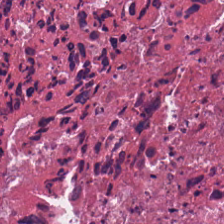Hematoxylin-and-eosin stained section — Predominant tissue = debris.
